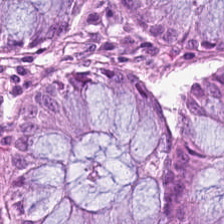Hematoxylin and eosin. Predominant tissue: benign colonic mucosa.
